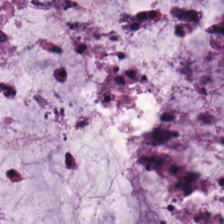Finding → mucin.
